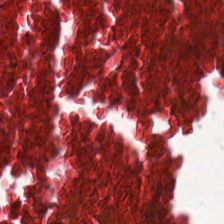H&E. Q: What does this patch show?
A: The field shows cellular debris.
